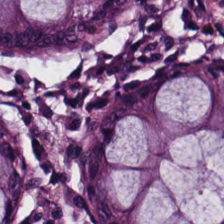H&E stain. This patch shows non-neoplastic colon mucosa.
